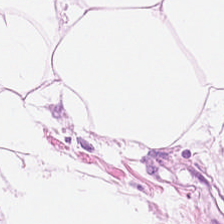Hematoxylin and eosin; 0.5 microns per pixel.
{"tissue_type": "adipose"}
